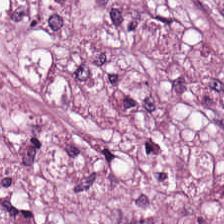Hematoxylin and eosin.
Showing tumor-associated stroma.
